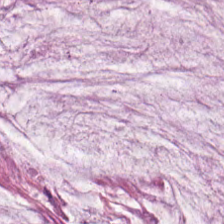Mucin.
